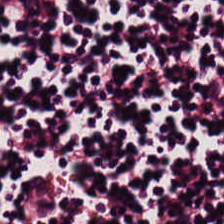224×224 px tile · H&E-stained tissue section · FFPE — Q: What type of tissue is this?
A: This is lymphocyte aggregate.
